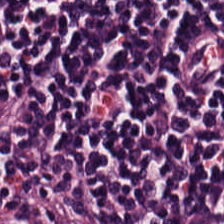224×224 pixel tile; H&E-stained tissue section; whole-slide-image patch.
{"tissue_type": "lymphocytic infiltrate"}
